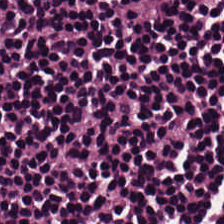224×224 pixel tile · formalin-fixed paraffin-embedded section · H&E. The predominant tissue is lymphocytic infiltrate.
